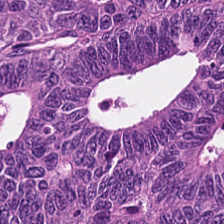Predominant tissue — adenocarcinoma.
